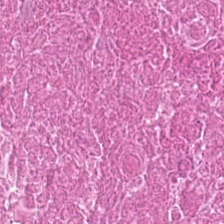Hematoxylin-and-eosin stained section — Tissue type: cellular debris.
